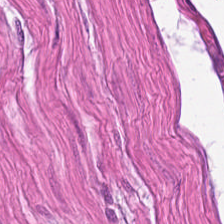H&E-stained tissue section. This field is smooth muscle.
